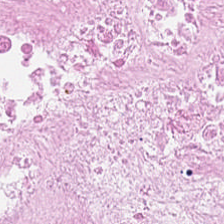Stain: hematoxylin-and-eosin stained section.
Classification: necrotic debris.
